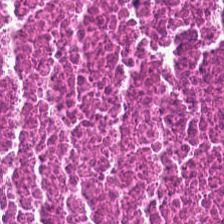{"tissue_type": "necrotic debris"}
